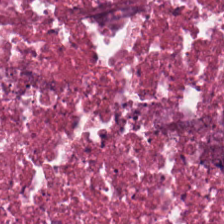Predominantly necrotic debris.
